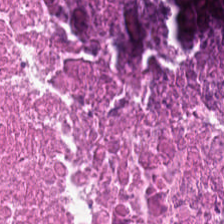H&E stain — Impression — necrotic debris.
